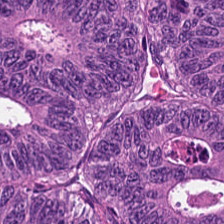H&E-stained tissue section.
The tissue here is malignant epithelium.
